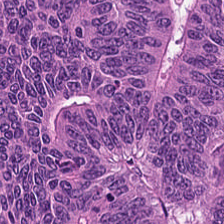Stain: H&E-stained tissue section.
Tile size: 224×224 px patch.
Tissue class: adenocarcinoma.
